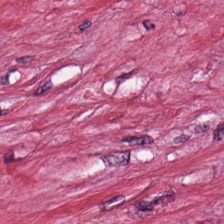H&E. FFPE tissue section. Showing tumor stroma.
